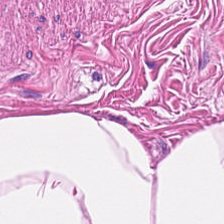Hematoxylin-and-eosin stained section. The predominant tissue is smooth muscle.
